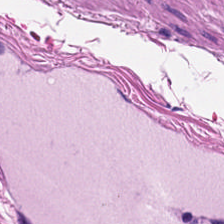H&E-stained tissue section.
Q: What is shown here?
A: Muscularis.
